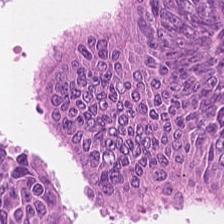WSI patch; 0.5 microns per pixel; hematoxylin-and-eosin stained section — Predominant tissue: colorectal adenocarcinoma epithelium.
